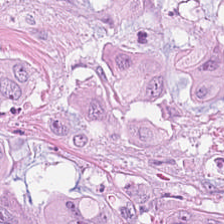Finding — adenocarcinoma.
